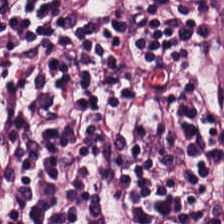H&E stain. WSI patch. 224×224 px patch — Showing lymphocyte aggregate.
